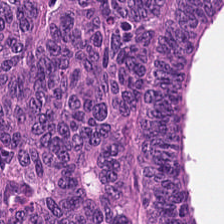0.5 microns per pixel; hematoxylin-and-eosin stained section; brightfield. The predominant tissue is malignant epithelium.
